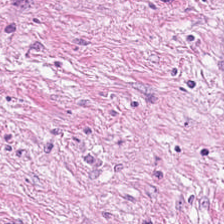H&E. 224×224 pixel tile. Q: Classify this patch.
A: This is tumor-associated stroma.
